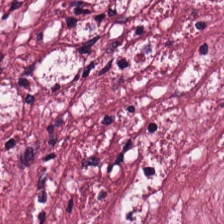H&E stain. Formalin-fixed paraffin-embedded section — Finding — desmoplastic stroma.
